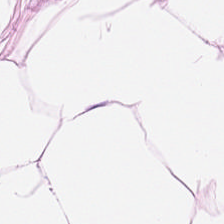0.5 microns per pixel · H&E. Showing adipose.
